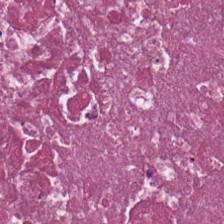FFPE tissue section. H&E stain. 0.5 µm/px. The tissue here is debris.
